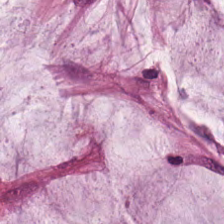{"tissue_type": "mucin"}
